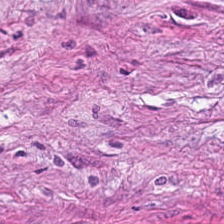224×224 px tile · hematoxylin-and-eosin stained section — Impression → tumor-associated stroma.
